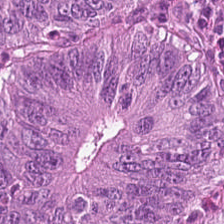H&E.
Q: Classify this patch.
A: This is colorectal adenocarcinoma.
